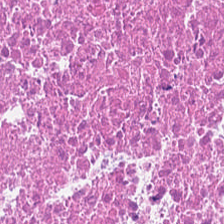H&E stain. Showing cellular debris.
